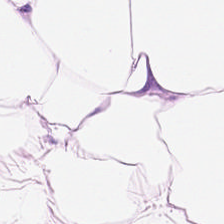H&E — Q: What does this patch show?
A: The field shows fat tissue.
